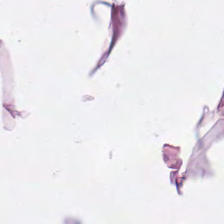H&E stain. Adipose tissue.
